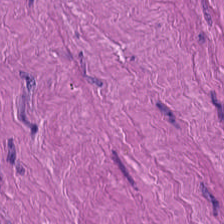H&E-stained tissue section — This patch shows smooth muscle.
